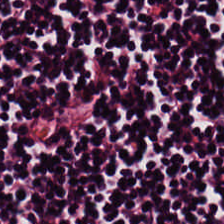H&E; 224×224 px patch. Predominantly lymphoid infiltrate.
